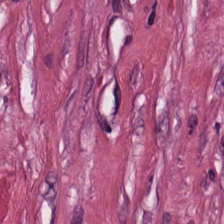Hematoxylin and eosin; 224×224 px patch.
The predominant tissue is tumor-associated stroma.
